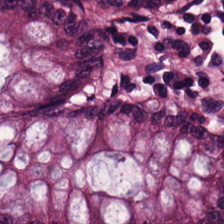0.5 µm/px · H&E-stained tissue section.
Tissue: normal colon mucosa.
